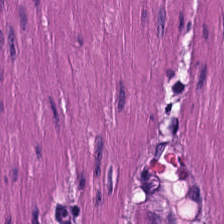Hematoxylin-and-eosin stained section — Q: What does this patch show?
A: Smooth muscle.
